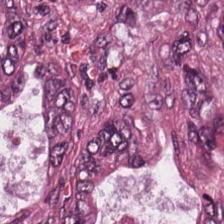Hematoxylin-and-eosin section: colorectal adenocarcinoma.
